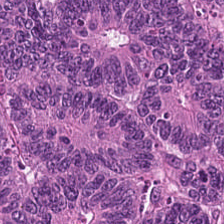Brightfield microscopy · 20× equivalent magnification · hematoxylin and eosin.
This field is tumor epithelium.
